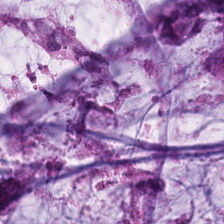0.5 µm per pixel; H&E; 224×224 px tile. This patch shows mucin.
